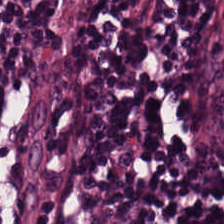H&E stain; WSI patch. Q: What is shown in this field?
A: The field shows lymphocytes.
